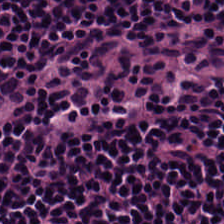0.5 µm per pixel · H&E-stained tissue section · whole-slide-image patch — Impression — lymphoid infiltrate.
